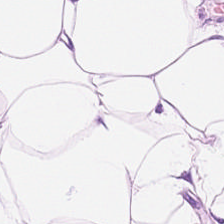Hematoxylin-and-eosin stained section.
This patch shows fat tissue.
